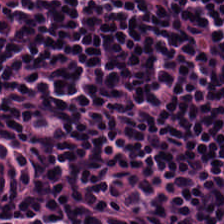Whole-slide-image patch · hematoxylin and eosin — The tissue is lymphocytic infiltrate.
